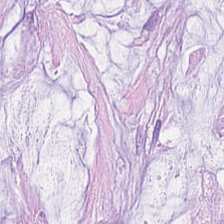0.5 µm per pixel. Whole-slide-image patch. Hematoxylin-and-eosin stained section — Predominantly extracellular mucin.
